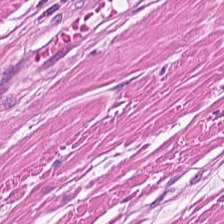Hematoxylin and eosin. Brightfield. {"tissue_type": "muscularis"}
